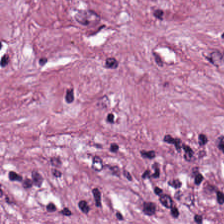H&E stain — Tissue class = desmoplastic stroma.
